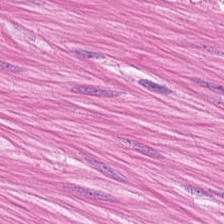Tissue: muscularis.
